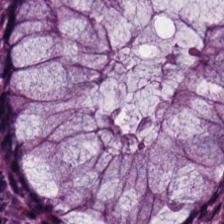224×224 px tile · H&E-stained tissue section. This field is non-neoplastic colon mucosa.
